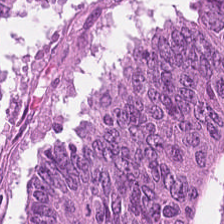H&E-stained tissue section. This patch shows colorectal adenocarcinoma.
